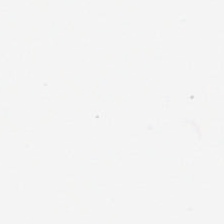Hematoxylin-and-eosin stained section. The classification is background (no tissue).
